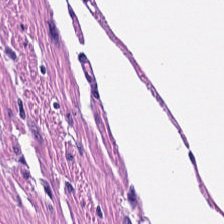224×224 px patch. H&E. Q: What is shown here?
A: It is muscularis.
